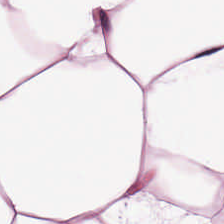H&E-stained tissue section. Q: What is shown in this field?
A: It is adipocytes.
